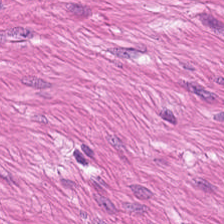224×224 pixel tile; 0.5 microns per pixel; H&E-stained tissue section.
Predominantly smooth-muscle tissue.
